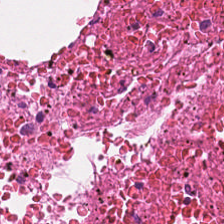Brightfield · H&E. Q: What is shown in this field?
A: Necrotic debris.
